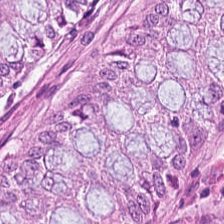H&E — Q: What does this patch show?
A: Non-neoplastic colon mucosa.
